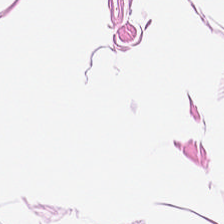224×224 px tile · hematoxylin-and-eosin stained section — Tissue type = fat tissue.
